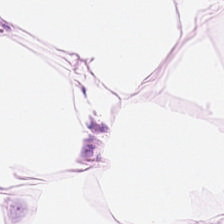H&E stain. This patch shows fat tissue.
